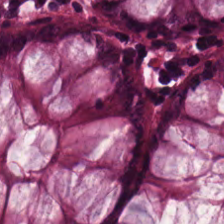224×224 px patch; H&E-stained tissue section — Q: What tissue type is shown here?
A: It is benign colonic mucosa.
